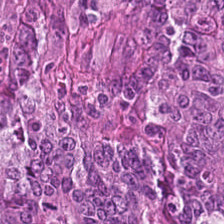0.5 µm/px; hematoxylin-and-eosin stained section. Tissue type = colorectal adenocarcinoma epithelium.
